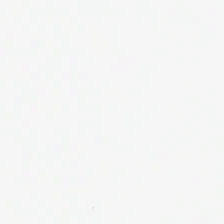Hematoxylin-and-eosin stained section — Histology → no tissue.
